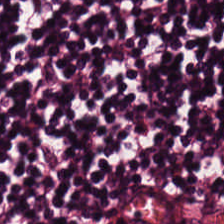H&E. Predominant tissue — lymphocyte aggregate.
